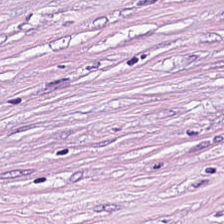H&E-stained tissue section — Q: What type of tissue is this?
A: It is tumor-associated stroma.
